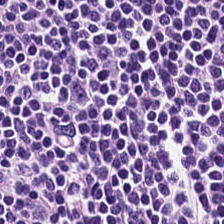Stain: H&E stain.
Preparation: FFPE.
Predominant tissue: lymphocytes.
